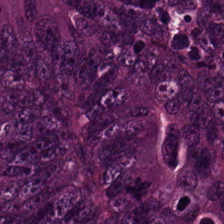H&E-stained tissue section · 224×224 px tile. Predominant tissue: malignant epithelium.
